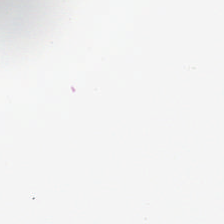FFPE tissue section. H&E. Field content: empty background.
